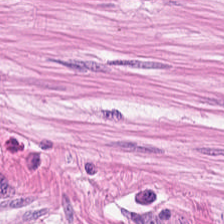Tissue class = muscularis.
